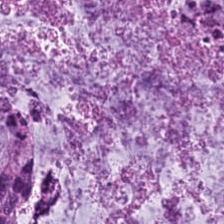Stain: H&E stain.
Classification: mucus.
